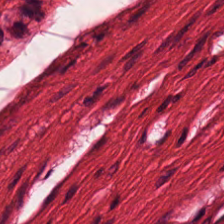Tissue class = muscularis.
